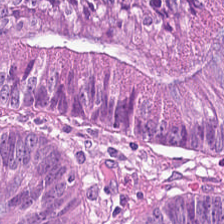Predominantly adenocarcinoma.
